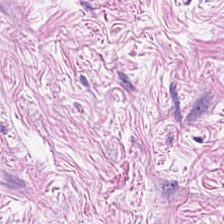H&E-stained tissue section. The predominant tissue is tumor-associated stroma.
